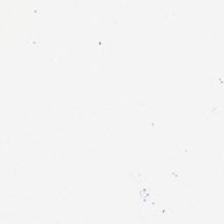{"content": "background"}
